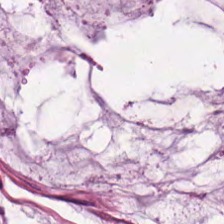Tissue class = extracellular mucin.
